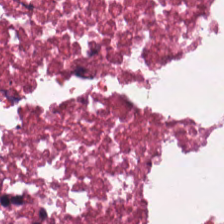20× equivalent magnification. Formalin-fixed paraffin-embedded section. H&E stain. Finding → debris.
